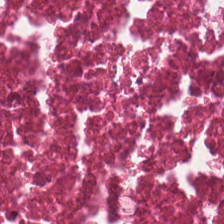224×224 px patch. 0.5 microns per pixel. H&E-stained tissue section.
Showing debris.
